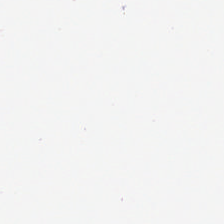H&E stain.
The tissue is adipose.
